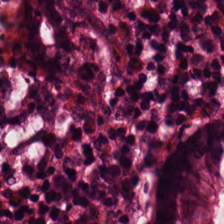224×224 px tile; hematoxylin and eosin — This field is normal colon mucosa.
